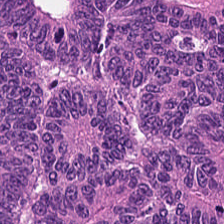H&E. Tissue: adenocarcinoma.
